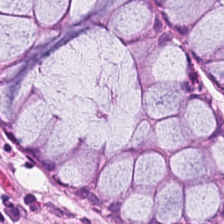H&E stain — {"tissue_type": "normal colon mucosa"}
